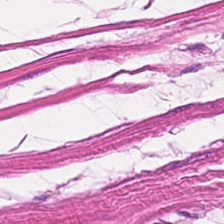Hematoxylin and eosin.
Q: Identify the tissue.
A: Smooth-muscle tissue.
